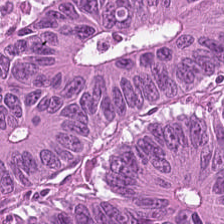H&E-stained tissue section.
Tissue = colorectal adenocarcinoma epithelium.
